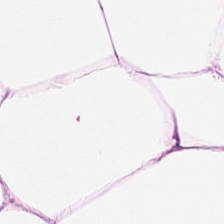H&E-stained tissue section.
The predominant tissue is adipose tissue.
